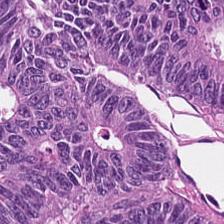224×224 pixel tile. 0.5 µm/px. Hematoxylin-and-eosin stained section — Showing colorectal adenocarcinoma.
